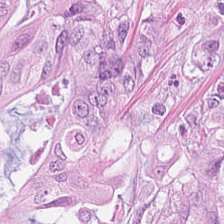Predominantly adenocarcinoma.
